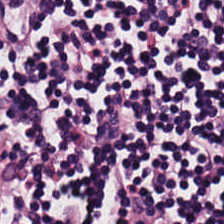Formalin-fixed paraffin-embedded section; H&E-stained tissue section; brightfield microscopy — {"tissue_type": "lymphocyte aggregate"}
